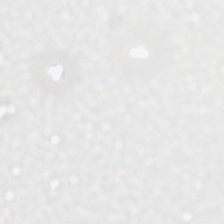The content is background.
